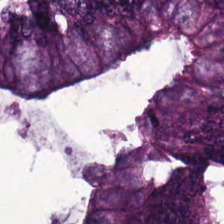H&E stain · 224×224 px tile · formalin-fixed paraffin-embedded section.
{"tissue_type": "adenocarcinoma"}
